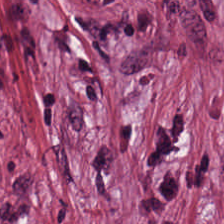Hematoxylin and eosin. The tissue is tumor-associated stroma.
